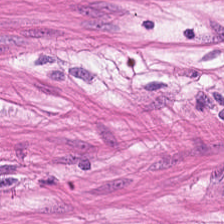H&E-stained tissue section.
Q: What tissue type is shown here?
A: Smooth-muscle tissue.
